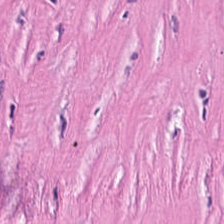Stain: H&E-stained tissue section.
Tissue class: cancer-associated stroma.
